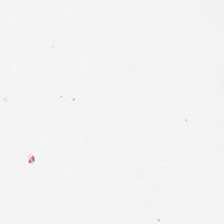Empty field — no tissue.
